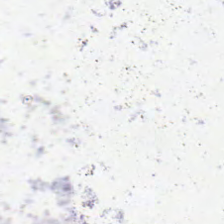H&E; 224×224 pixel tile.
Empty field — empty background.
